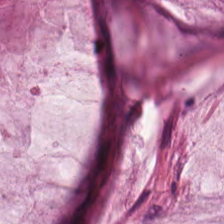H&E — mucus.
